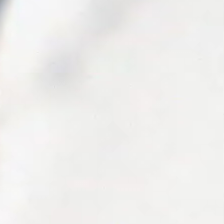H&E-stained tissue section — Classification = empty background.
